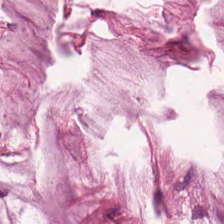{"tissue_type": "mucus"}
